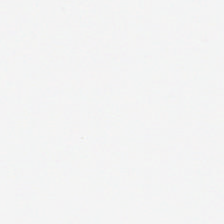H&E-stained tissue section.
Background.
